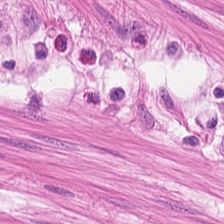H&E — The classification is smooth muscle.
